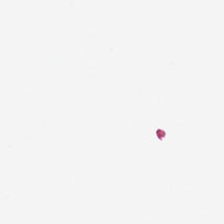H&E stain.
Empty background.
